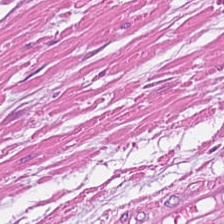H&E-stained tissue section.
Impression — smooth muscle.
